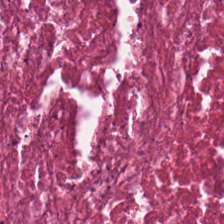H&E-stained tissue section · brightfield microscopy — Predominantly cellular debris.
